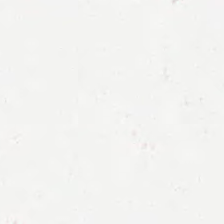0.5 µm per pixel; H&E stain. Q: What is shown here?
A: The field shows empty background.
